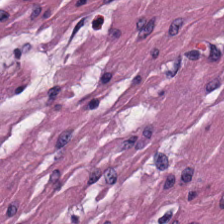Hematoxylin-and-eosin stained section — Q: Classify this patch.
A: Smooth muscle.
